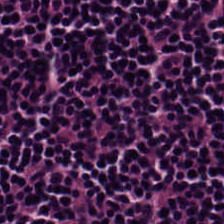Q: What is the predominant tissue type?
A: The field shows lymphocytic infiltrate.
